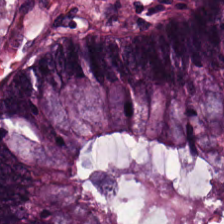H&E — colorectal adenocarcinoma.
